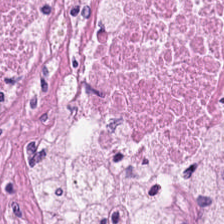224×224 px patch; hematoxylin and eosin — The tissue here is necrotic debris.
